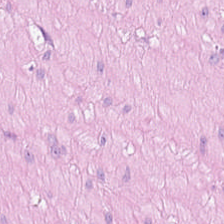Q: Classify this patch.
A: The field shows smooth muscle.
